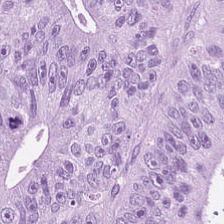Stain: H&E-stained tissue section.
Preparation: FFPE.
Resolution: 0.5 µm per pixel.
Tissue class: tumor epithelium.
